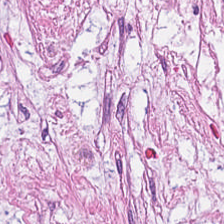Hematoxylin and eosin.
Predominantly cancer-associated stroma.
